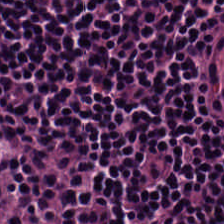Stain: H&E stain.
Tissue: lymphocytes.
